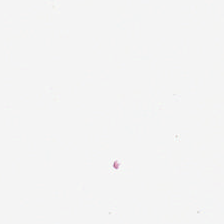Hematoxylin-and-eosin stained section. This patch shows background (no tissue).
